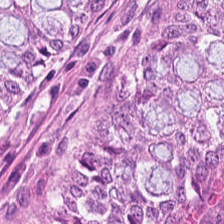Predominant tissue: non-neoplastic colon mucosa.
